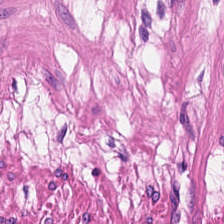Stain: H&E-stained tissue section.
Predominant tissue: smooth-muscle tissue.
